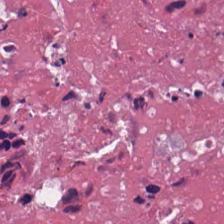H&E stain. Finding → necrotic debris.
